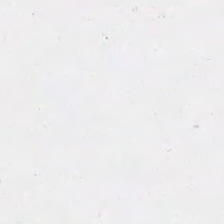H&E · brightfield.
The content is background.
